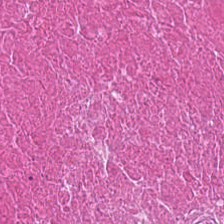Hematoxylin and eosin.
The tissue is necrotic debris.
